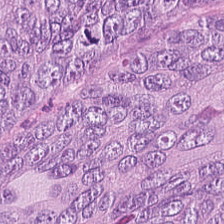H&E — This field is malignant epithelium.
